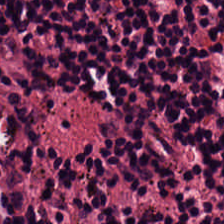Lymphocytic infiltrate.
